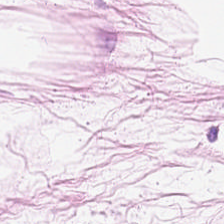Brightfield · H&E-stained tissue section · 224×224 px tile. This field is adipose.
